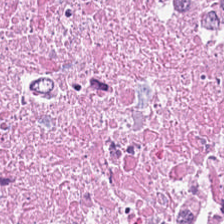Hematoxylin and eosin. 0.5 µm/px.
The tissue is debris.
